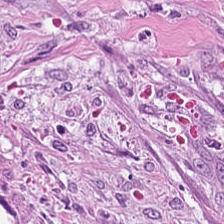Formalin-fixed paraffin-embedded section; 224×224 px patch; hematoxylin-and-eosin stained section — Finding → cancer-associated stroma.
